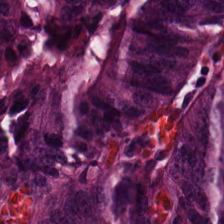Hematoxylin-and-eosin stained section — Tissue = tumor epithelium.
